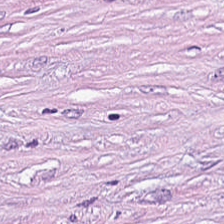FFPE. Hematoxylin and eosin — Tissue class — tumor-associated stroma.
